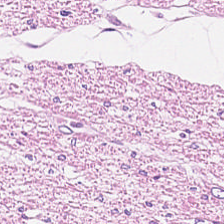The tissue here is muscularis.
